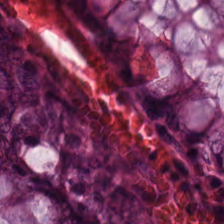0.5 µm per pixel · hematoxylin-and-eosin stained section.
Q: What tissue is shown?
A: This is non-neoplastic colon mucosa.
